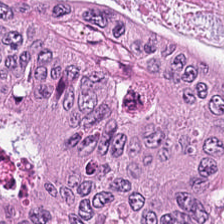Formalin-fixed paraffin-embedded section. Hematoxylin-and-eosin stained section.
Q: What is the predominant tissue type?
A: Tumor epithelium.
